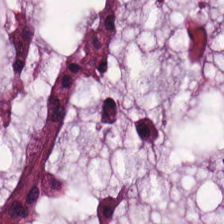Hematoxylin-and-eosin stained section. Predominantly extracellular mucin.
